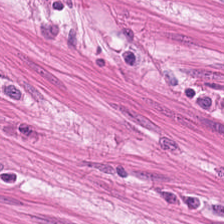H&E stain; 224×224 px patch.
The tissue here is smooth muscle.
